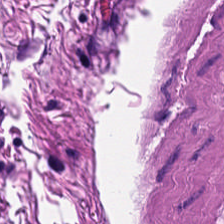0.5 µm per pixel. Hematoxylin and eosin — Smooth muscle.
